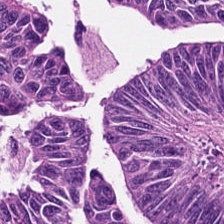H&E-stained tissue section — The predominant tissue is colorectal adenocarcinoma.
